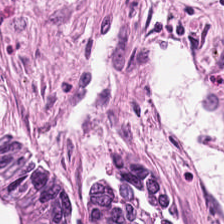Finding → colorectal adenocarcinoma.
